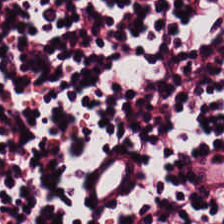Hematoxylin-and-eosin stained section.
Classification = lymphoid infiltrate.
